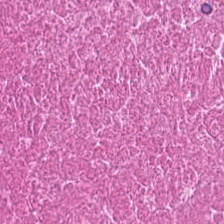H&E-stained tissue section. 0.5 microns per pixel.
Predominantly necrotic debris.
